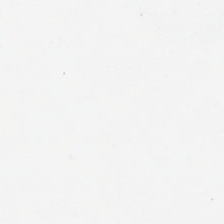Background — no tissue in this field.
